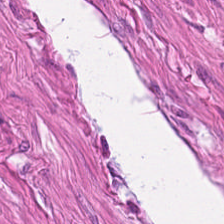H&E stain. Smooth-muscle tissue.
